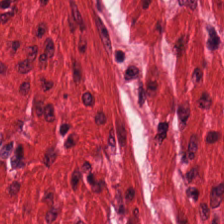Histology → muscularis.
